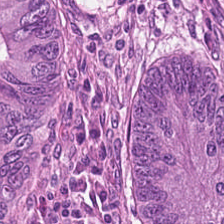H&E stain.
Adenocarcinoma.
